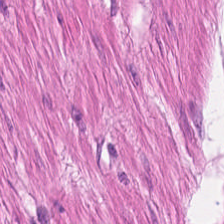Hematoxylin-and-eosin stained section. Predominant tissue — smooth-muscle tissue.
